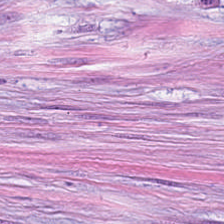Tissue class: tumor stroma.
